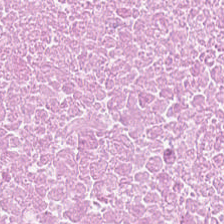Hematoxylin-and-eosin stained section. The tissue type is debris.
